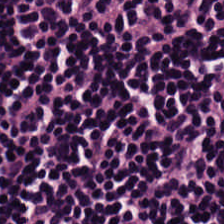Predominantly lymphocyte aggregate.
